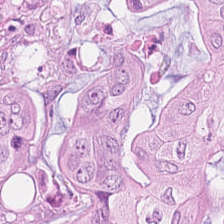{"tissue_type": "adenocarcinoma"}
